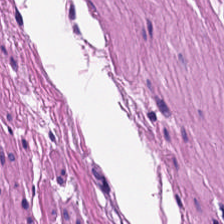Q: What type of tissue is this?
A: This is muscularis.
